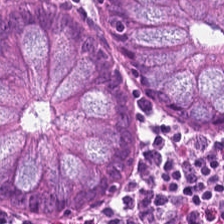Tissue type — benign colonic mucosa.
